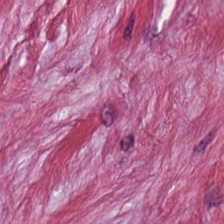Tissue class — desmoplastic stroma.
